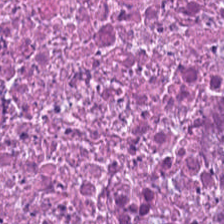224×224 pixel tile · hematoxylin-and-eosin stained section — The predominant tissue is debris.
